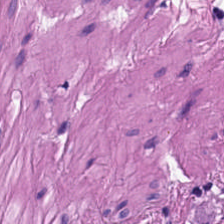Stain: H&E stain.
Tissue: smooth muscle.
